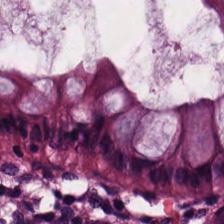Stain: hematoxylin-and-eosin stained section.
Tissue type: benign colonic mucosa.
